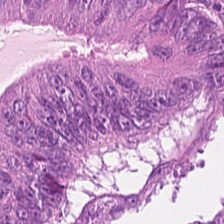Hematoxylin and eosin. Tumor epithelium.
